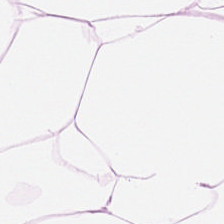{"tissue_type": "adipose tissue"}
